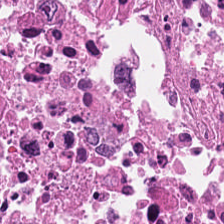Hematoxylin-and-eosin stained section · 224×224 px patch.
This patch shows debris.
